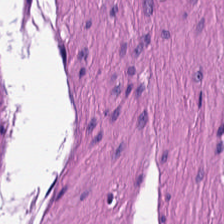Histology → smooth-muscle tissue.
